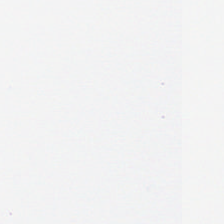Whole-slide-image patch; H&E stain; 0.5 µm per pixel.
Q: What does this patch show?
A: The field shows empty background.
